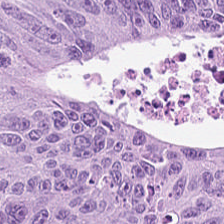Hematoxylin-and-eosin stained section · brightfield · 20× equivalent magnification. Predominantly malignant epithelium.
